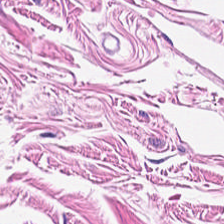Tissue class = muscularis.
